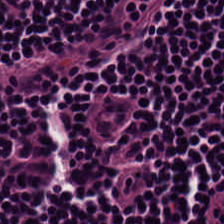H&E patch showing lymphocytic infiltrate.
